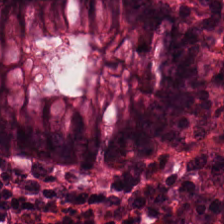Hematoxylin-and-eosin stained section. Impression — normal colonic mucosa.
